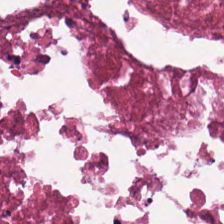H&E stain — Classification — cellular debris.
